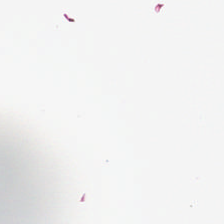0.5 µm per pixel. Hematoxylin-and-eosin stained section.
Histology — background.
